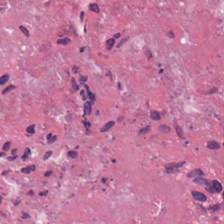224×224 px tile. Hematoxylin-and-eosin stained section — Predominantly necrotic debris.
